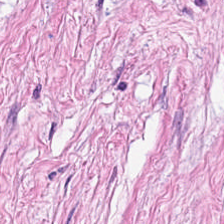Hematoxylin-and-eosin stained section — Showing desmoplastic stroma.
